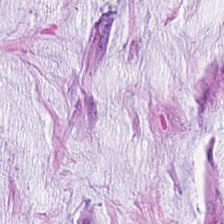H&E.
Q: Classify this patch.
A: This is mucus.
